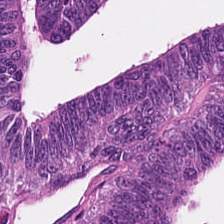Whole-slide-image patch. 224×224 px patch. Hematoxylin-and-eosin stained section — Colorectal adenocarcinoma.
